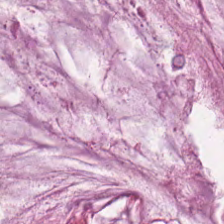H&E — Histology → mucus.
